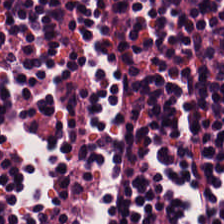Hematoxylin and eosin — The tissue here is lymphoid infiltrate.
